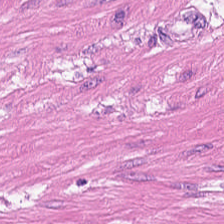224×224 px tile · formalin-fixed paraffin-embedded section · H&E stain — The classification is smooth muscle.
